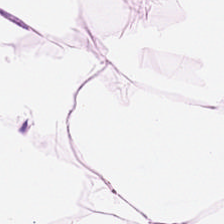Stain: hematoxylin and eosin.
Preparation: FFPE.
Acquisition: brightfield microscopy.
Predominant tissue: adipocytes.
